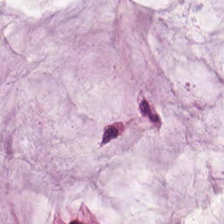Formalin-fixed paraffin-embedded section. H&E stain — The predominant tissue is extracellular mucin.
